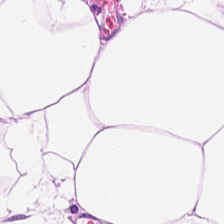Hematoxylin-and-eosin stained section.
Q: Identify the tissue.
A: The field shows adipocytes.
